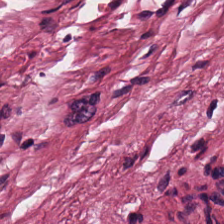20× equivalent magnification; hematoxylin-and-eosin stained section — The tissue here is tumor stroma.
